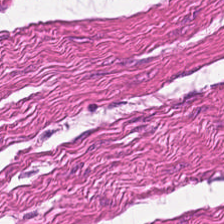Tissue class = muscularis.
